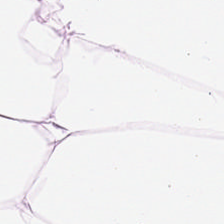H&E.
Adipocytes.
